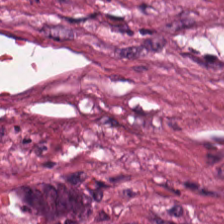H&E stain. The tissue is cellular debris.
